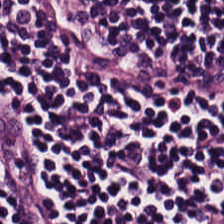0.5 µm per pixel; WSI patch; H&E stain.
This field is lymphocyte aggregate.
